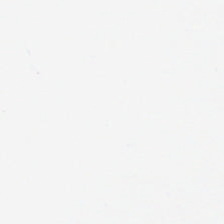Q: What does this patch show?
A: It is background (no tissue).
